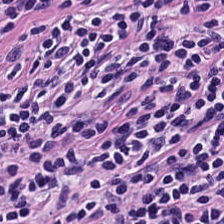Formalin-fixed paraffin-embedded section. 224×224 pixel tile. Hematoxylin and eosin.
Impression → lymphoid infiltrate.
